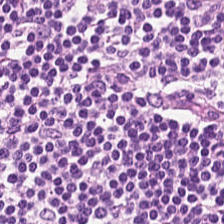Brightfield microscopy. H&E. FFPE tissue section — The predominant tissue is lymphoid infiltrate.
